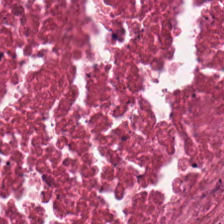Hematoxylin-and-eosin stained section · formalin-fixed paraffin-embedded section.
Tissue type: debris.
